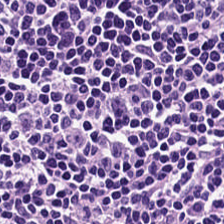Hematoxylin-and-eosin stained section.
Q: What is the predominant tissue type?
A: The field shows lymphocytes.
